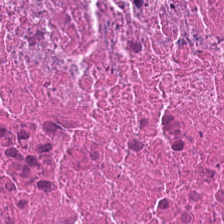H&E stain. Q: What does this patch show?
A: Debris.
